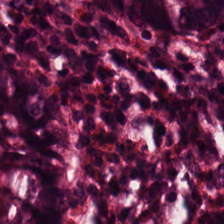H&E stain.
Q: Classify this patch.
A: The field shows non-neoplastic colon mucosa.
